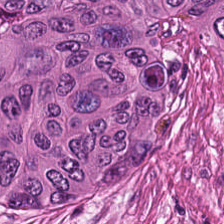H&E stain.
The tissue is colorectal adenocarcinoma epithelium.
